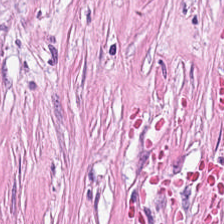Hematoxylin and eosin. Brightfield microscopy. 20× equivalent magnification. {"tissue_type": "cancer-associated stroma"}
